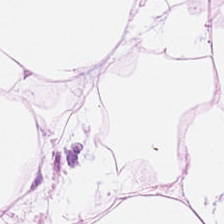Tissue class: adipose.
